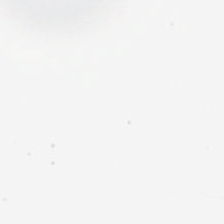Classification: background.
